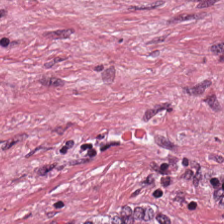0.5 microns per pixel; 224×224 px patch; H&E stain. Impression → cancer-associated stroma.
